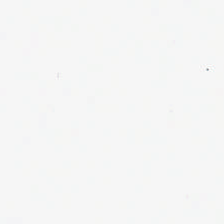Histology — background.
